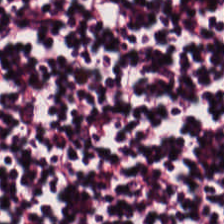H&E — {"tissue_type": "lymphocytic infiltrate"}
